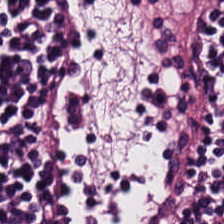H&E-stained tissue section — Impression → lymphocytic infiltrate.
